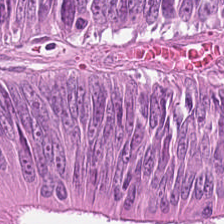0.5 µm per pixel. H&E stain. 224×224 px tile.
This patch shows malignant epithelium.
